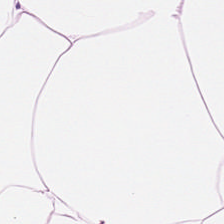0.5 µm per pixel. 224×224 pixel tile. H&E stain. Adipose tissue.
